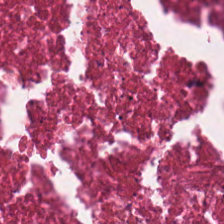The predominant tissue is cellular debris.
